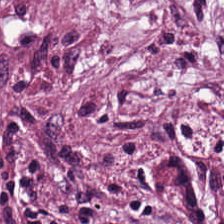Stain: hematoxylin-and-eosin stained section.
Preparation: FFPE tissue section.
Tile size: 224×224 px patch.
Classification: cancer-associated stroma.
